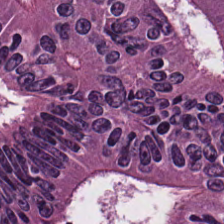224×224 pixel tile. H&E stain. Tissue class — malignant epithelium.
